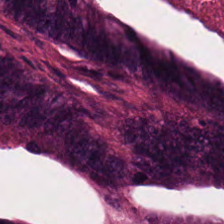0.5 microns per pixel; H&E — Q: What tissue type is shown here?
A: The field shows tumor epithelium.
